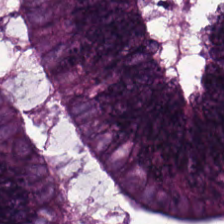Q: What is shown here?
A: This is colorectal adenocarcinoma.
